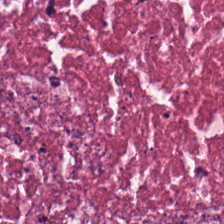FFPE tissue section · H&E stain.
{"tissue_type": "necrotic debris"}
